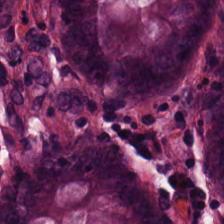Predominant tissue — normal colonic mucosa.
